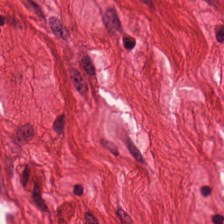FFPE tissue section; 20× equivalent magnification; H&E stain — The tissue class is smooth muscle.
